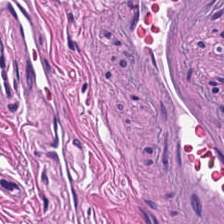Stain: hematoxylin and eosin.
Tissue class: muscularis.
